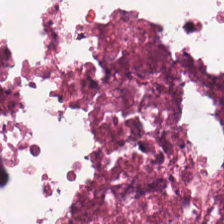Stain: H&E stain.
Tissue type: necrotic debris.
